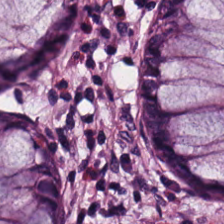FFPE tissue section. 224×224 px tile. Hematoxylin and eosin. Tissue class = benign colonic mucosa.
